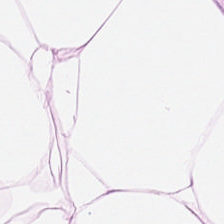Hematoxylin-and-eosin stained section.
This patch shows fat tissue.
